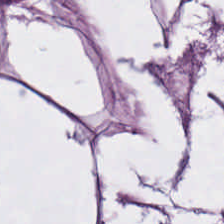Finding → fat tissue.
